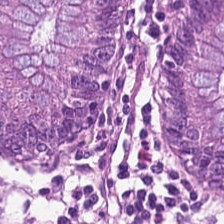Brightfield microscopy. H&E-stained tissue section. Histology — normal colon mucosa.
